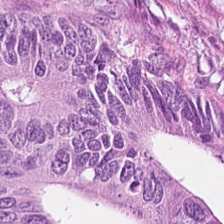Hematoxylin and eosin.
Q: What is shown here?
A: Malignant epithelium.
